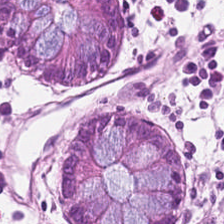Q: Classify this patch.
A: It is non-neoplastic colon mucosa.
